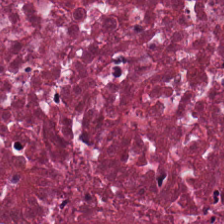Hematoxylin-and-eosin section: necrotic debris.
